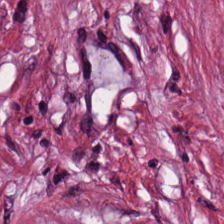Tissue — cancer-associated stroma.
